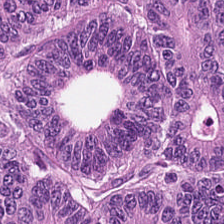FFPE · brightfield · H&E stain. Classification: malignant epithelium.
